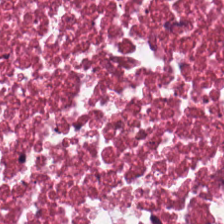Hematoxylin-and-eosin stained section.
Q: What does this patch show?
A: The field shows debris.
